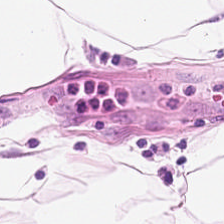H&E — Tissue = adipose tissue.
